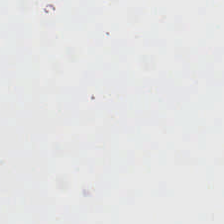Empty background.
